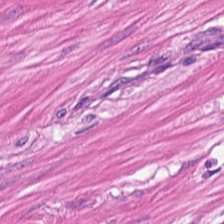Predominant tissue: muscularis.
